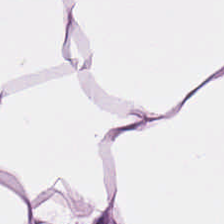Hematoxylin-and-eosin stained section. This patch shows adipocytes.
